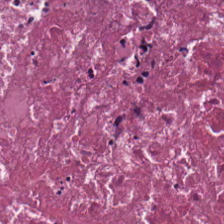Hematoxylin and eosin — The predominant tissue is debris.
